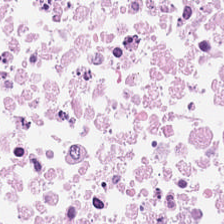H&E-stained tissue section.
The tissue here is debris.
